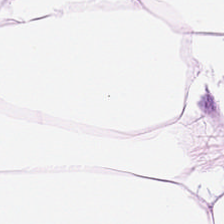Hematoxylin-and-eosin stained section. Showing adipose tissue.
